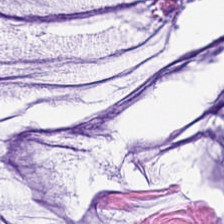H&E-stained tissue section showing mucus.
